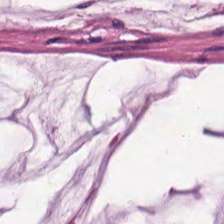Whole-slide-image patch. Hematoxylin and eosin. Predominantly extracellular mucin.
